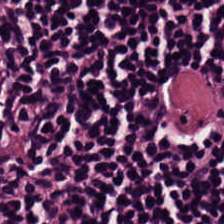Hematoxylin and eosin. Tissue: lymphocytic infiltrate.
